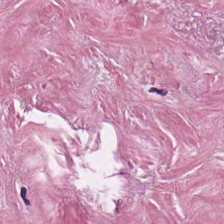H&E-stained tissue section — This patch shows tumor-associated stroma.
